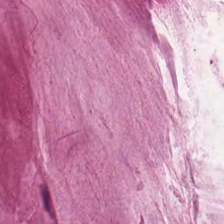FFPE tissue section; 0.5 µm/px; hematoxylin-and-eosin stained section.
The tissue here is mucin.
